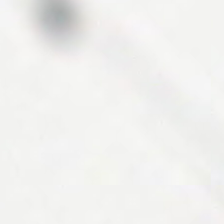H&E stain.
The content is no tissue.
